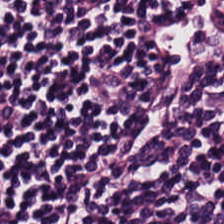Formalin-fixed paraffin-embedded section; H&E-stained tissue section.
This patch shows lymphoid infiltrate.
